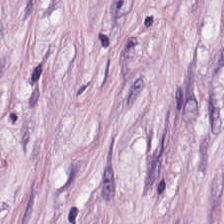Stain: H&E-stained tissue section.
Tissue class: cancer-associated stroma.
